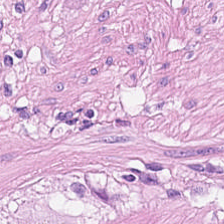H&E stain. 224×224 pixel tile — This field is muscularis.
